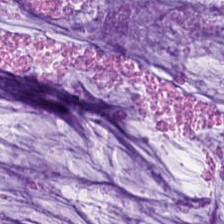Hematoxylin-and-eosin stained section. FFPE.
{"tissue_type": "mucin"}
